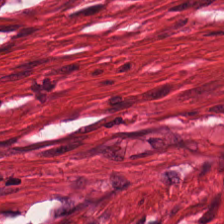Q: What is shown in this field?
A: This is muscularis.
